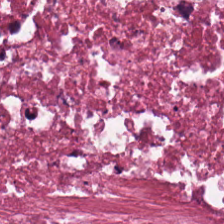Hematoxylin-and-eosin stained section — Classification — debris.
